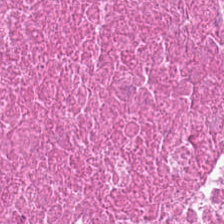H&E — The predominant tissue is necrotic debris.
